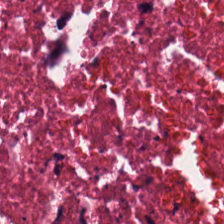H&E · FFPE tissue section · 20× equivalent magnification.
Finding → cellular debris.
